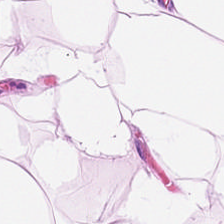Brightfield · hematoxylin-and-eosin stained section.
The tissue type is adipose.
